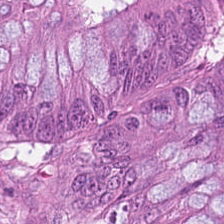Q: What is the predominant tissue type?
A: The field shows colorectal adenocarcinoma.
